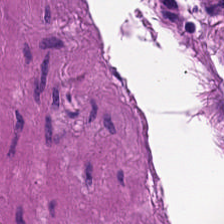Hematoxylin and eosin — This field is muscularis.
